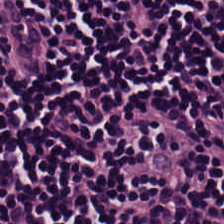Tissue = lymphocytic infiltrate.
